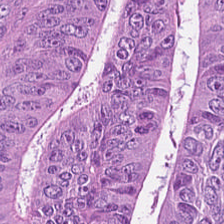H&E stain.
Predominantly colorectal adenocarcinoma.
